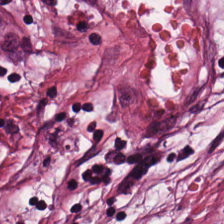Brightfield microscopy · 224×224 px patch · H&E-stained tissue section — Classification — tumor-associated stroma.
